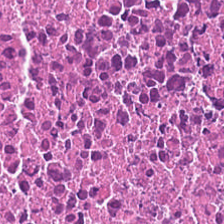H&E-stained section; the field shows cellular debris.
